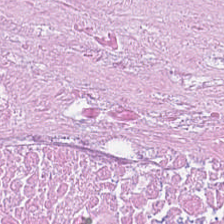H&E.
Q: What type of tissue is this?
A: The field shows debris.
